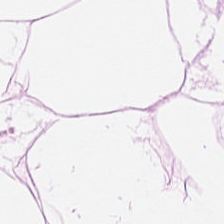H&E-stained tissue section.
Tissue type = adipocytes.
